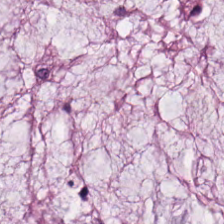H&E-stained tissue section. 0.5 µm per pixel. Formalin-fixed paraffin-embedded section. {"tissue_type": "mucin"}
